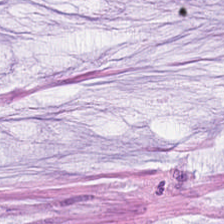Hematoxylin-and-eosin stained section — Tissue type — extracellular mucin.
